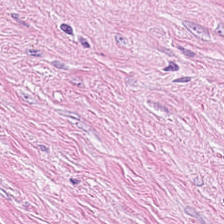FFPE tissue section; H&E-stained tissue section — Histology — cancer-associated stroma.
